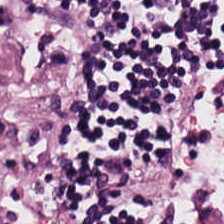FFPE tissue section; hematoxylin-and-eosin stained section; 0.5 microns per pixel. Impression — lymphoid infiltrate.
